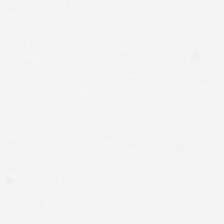224×224 px tile; H&E-stained tissue section.
No tissue.
